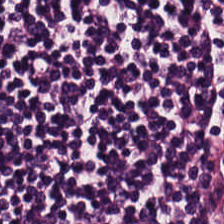Predominantly lymphocyte aggregate.
